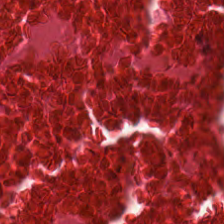H&E stain · 20× equivalent magnification.
Histology — debris.
